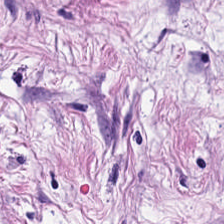Hematoxylin and eosin — The predominant tissue is cancer-associated stroma.
